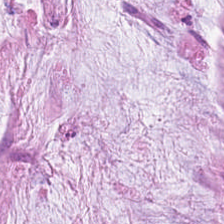H&E. 20× equivalent magnification — Q: What is shown in this field?
A: This is extracellular mucin.
